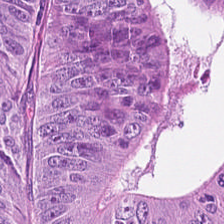H&E-stained tissue section — This field is malignant epithelium.
